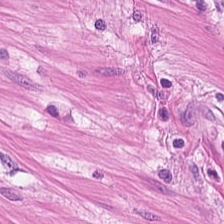Stain: hematoxylin and eosin.
Preparation: formalin-fixed paraffin-embedded section.
Resolution: 0.5 microns per pixel.
Tissue: smooth muscle.
